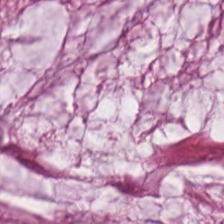Brightfield microscopy. H&E stain.
Predominant tissue — extracellular mucin.
